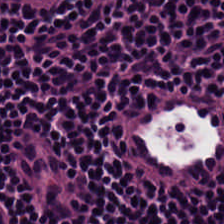H&E stain · formalin-fixed paraffin-embedded section. Predominant tissue — lymphocyte aggregate.
